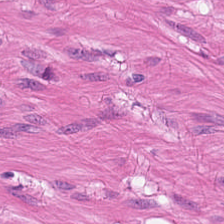H&E · 0.5 µm per pixel. The predominant tissue is muscularis.
